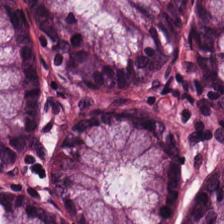H&E stain · 20× equivalent magnification — Q: What is shown here?
A: It is normal colonic mucosa.
